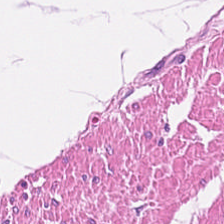Formalin-fixed paraffin-embedded section; H&E stain — Tissue — smooth-muscle tissue.
